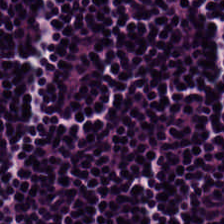Hematoxylin-and-eosin section: lymphoid infiltrate.
